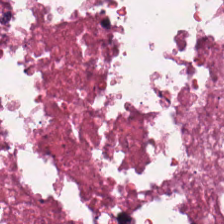Brightfield. H&E. Q: What tissue is shown?
A: The field shows debris.
